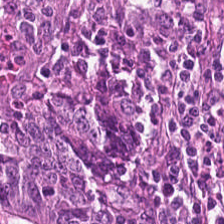The classification is colorectal adenocarcinoma.
